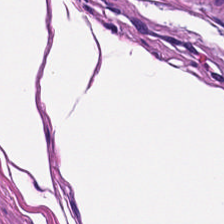Stain: hematoxylin-and-eosin stained section.
Preparation: FFPE tissue section.
Tissue: smooth-muscle tissue.
